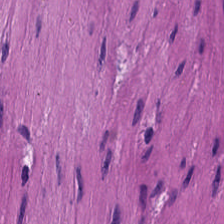FFPE; hematoxylin-and-eosin stained section; brightfield. Predominant tissue = smooth muscle.
